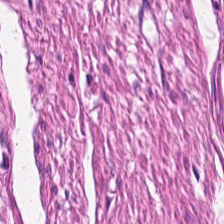H&E stain — Tissue type = muscularis.
